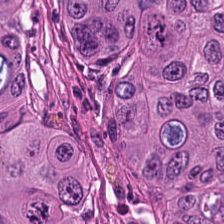Histology → tumor epithelium.
